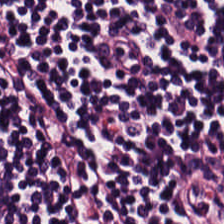H&E-stained tissue section — Showing lymphoid infiltrate.
